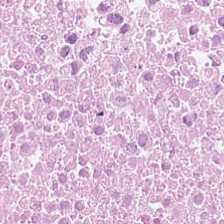Q: What tissue type is shown here?
A: Necrotic debris.
